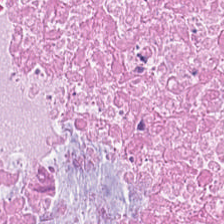Hematoxylin and eosin. The tissue here is cellular debris.
